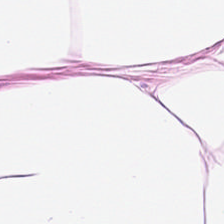Stain: H&E stain.
Acquisition: brightfield microscopy.
Tissue type: adipose tissue.
